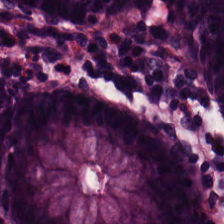Brightfield · H&E.
The predominant tissue is non-neoplastic colon mucosa.
